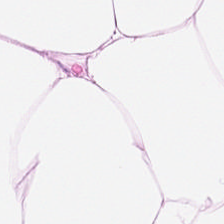H&E-stained tissue section — The predominant tissue is fat tissue.
